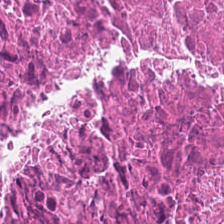Finding — necrotic debris.
